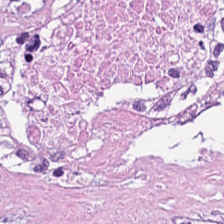Hematoxylin and eosin · 224×224 px patch. The predominant tissue is cellular debris.
